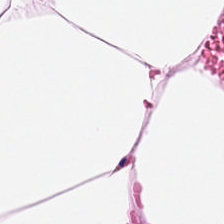H&E. Brightfield. The predominant tissue is adipocytes.
